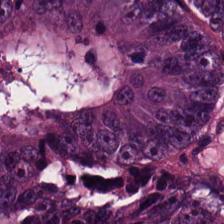H&E-stained section; the field shows tumor epithelium.
